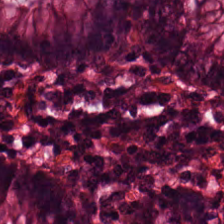FFPE tissue section; hematoxylin-and-eosin stained section.
Q: What tissue type is shown here?
A: This is normal colonic mucosa.
